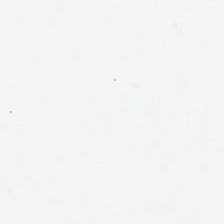224×224 px patch. Formalin-fixed paraffin-embedded section. Hematoxylin and eosin. Classification — background.
